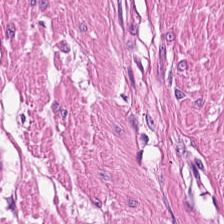Q: What tissue is shown?
A: It is smooth muscle.
